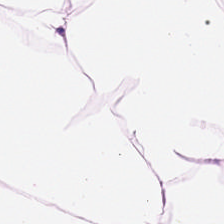H&E. 224×224 px patch.
Tissue type — adipocytes.
